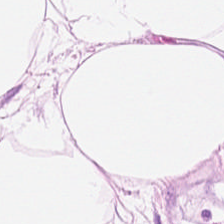Hematoxylin-and-eosin stained section — The tissue class is adipose.
